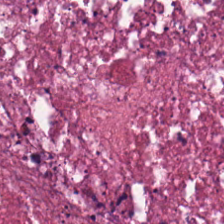Stain: H&E.
Acquisition: brightfield.
Predominant tissue: cellular debris.
